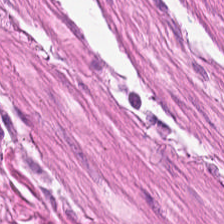The predominant tissue is muscularis.
